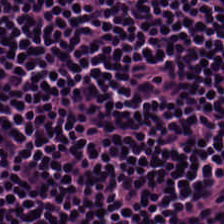Q: What tissue is shown?
A: This is lymphocyte aggregate.
